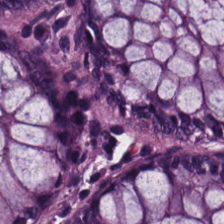H&E-stained tissue section.
Finding → normal colonic mucosa.
